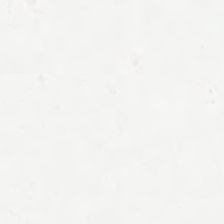Brightfield microscopy; H&E-stained tissue section — Empty field — background (no tissue).
